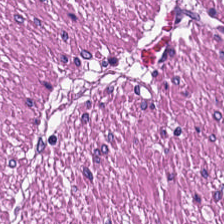Hematoxylin and eosin.
The tissue here is smooth muscle.
